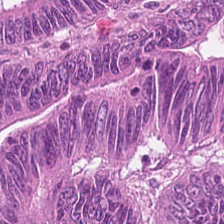Stain: hematoxylin-and-eosin stained section.
Predominant tissue: colorectal adenocarcinoma.
